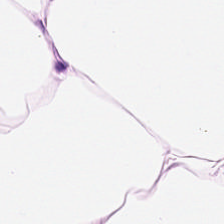Hematoxylin-and-eosin stained section. The classification is adipose.
